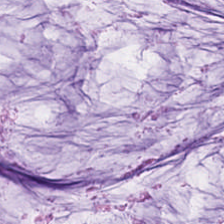H&E-stained tissue section showing mucin.
